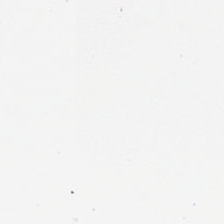H&E-stained tissue section. Background (no tissue).
